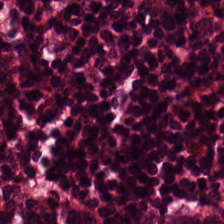Hematoxylin and eosin. WSI patch. The predominant tissue is benign colonic mucosa.
